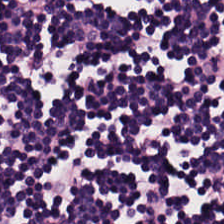Stain: hematoxylin and eosin.
Tissue class: lymphocytic infiltrate.
